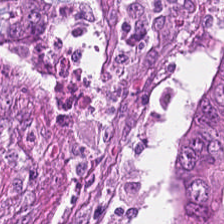Predominant tissue: colorectal adenocarcinoma.
